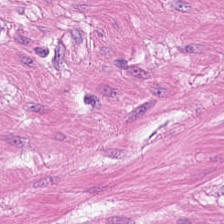Tissue class: smooth muscle.
